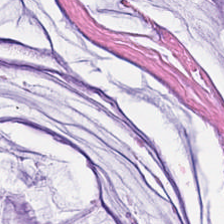H&E-stained tissue section. This field is extracellular mucin.
